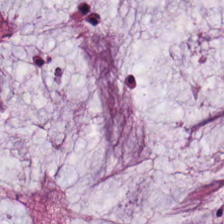Hematoxylin and eosin. Q: What is shown here?
A: It is extracellular mucin.
